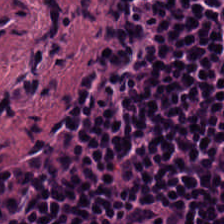224×224 px tile · H&E. Histology — lymphoid infiltrate.
